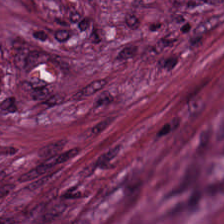Stain: H&E.
Tissue: cancer-associated stroma.
